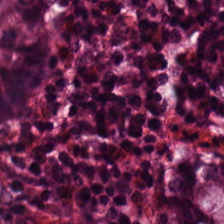Finding — benign colonic mucosa.
